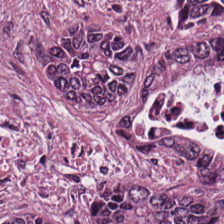Stain: hematoxylin and eosin.
Acquisition: whole-slide-image patch.
Tissue type: colorectal adenocarcinoma.
